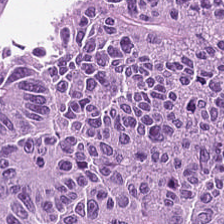H&E — Predominantly colorectal adenocarcinoma epithelium.
